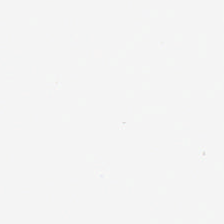H&E stain — Classification = background.
